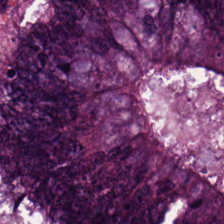Stain: hematoxylin and eosin.
Classification: colorectal adenocarcinoma.
